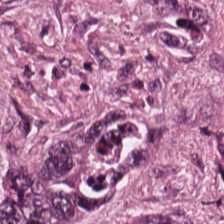H&E stain. The predominant tissue is colorectal adenocarcinoma epithelium.
